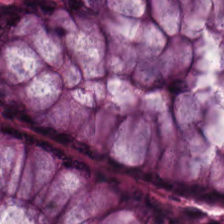H&E-stained tissue section. Tissue type = benign colonic mucosa.
